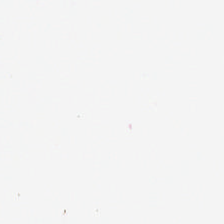Empty field — background.
